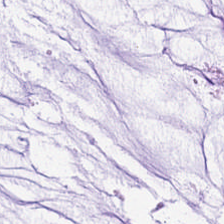H&E · whole-slide-image patch.
The tissue class is mucin.
